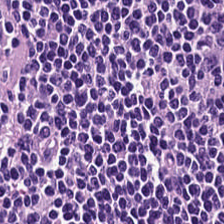H&E-stained tissue section. Q: What tissue type is shown here?
A: The field shows lymphocyte aggregate.
